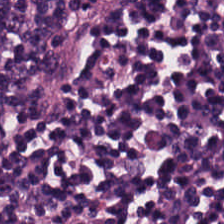H&E-stained tissue section. This patch shows lymphocytes.
